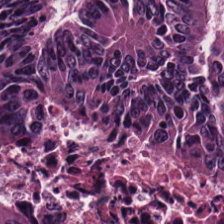Hematoxylin and eosin — The tissue class is adenocarcinoma.
